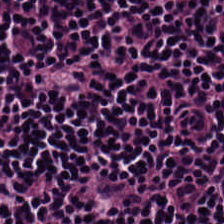0.5 microns per pixel. FFPE tissue section. Hematoxylin and eosin.
This field is lymphocyte aggregate.
